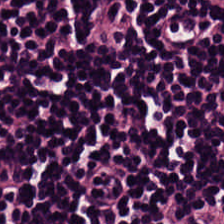Hematoxylin-and-eosin stained section. This field is lymphocyte aggregate.
